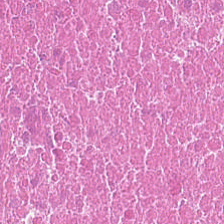H&E — Debris.
